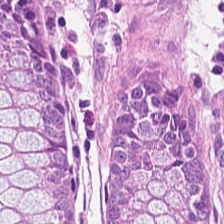Hematoxylin and eosin. WSI patch. This field is normal colon mucosa.
